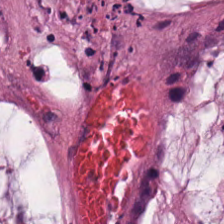Hematoxylin-and-eosin stained section — Showing mucus.
